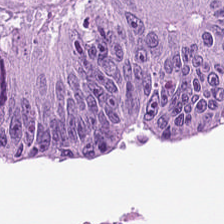H&E-stained tissue section. This field is tumor epithelium.
